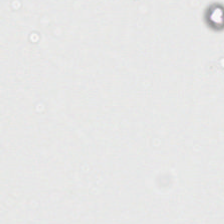H&E stain. Finding → no tissue.
